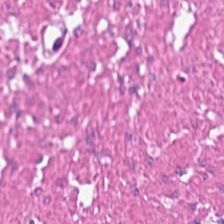Q: What is shown here?
A: Smooth-muscle tissue.
